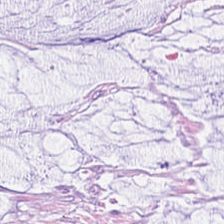H&E — Q: What does this patch show?
A: This is extracellular mucin.
